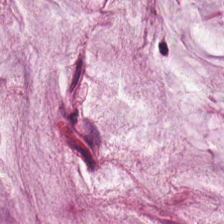H&E-stained tissue section. Tissue class = extracellular mucin.
